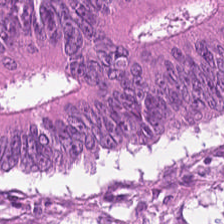Brightfield. Hematoxylin-and-eosin stained section — Q: Classify this patch.
A: It is colorectal adenocarcinoma.
